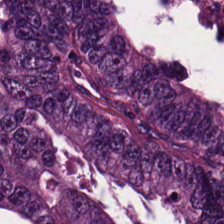H&E stain. Q: What does this patch show?
A: Tumor epithelium.
